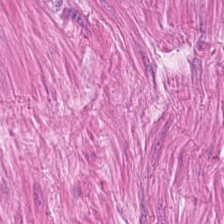H&E — {"tissue_type": "muscularis"}
